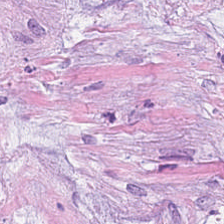H&E-stained tissue section.
{"tissue_type": "extracellular mucin"}
